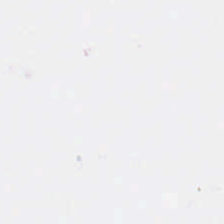Hematoxylin and eosin — This field is background (no tissue).
